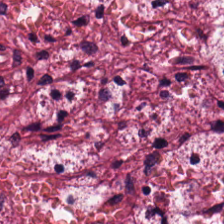Hematoxylin-and-eosin stained section.
Predominant tissue = tumor stroma.
